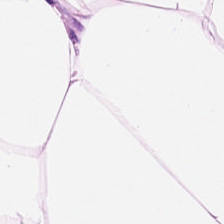H&E-stained tissue section. Whole-slide-image patch.
This field is adipose.
